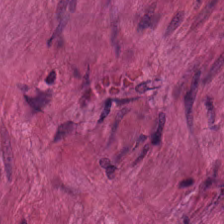Stain: H&E.
Tissue: muscularis.
